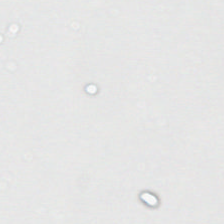H&E. Q: What does this patch show?
A: Empty background.
